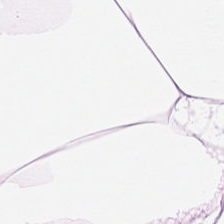Brightfield. 0.5 µm per pixel. Hematoxylin and eosin.
{"tissue_type": "adipose"}
